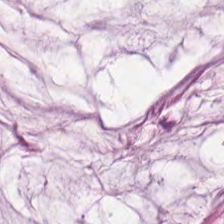H&E stain. Mucus.
